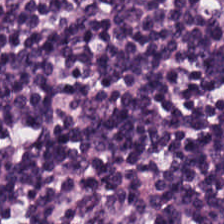FFPE tissue section. H&E. The predominant tissue is lymphocytic infiltrate.
